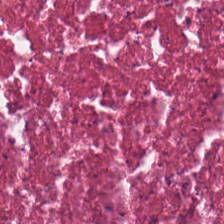Stain: H&E.
Tissue: necrotic debris.
